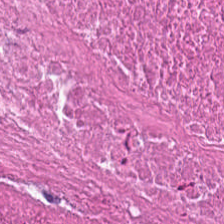The tissue class is cellular debris.
